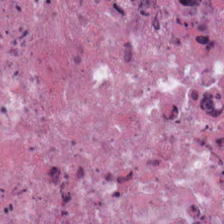H&E stain.
Q: What tissue type is shown here?
A: This is debris.
